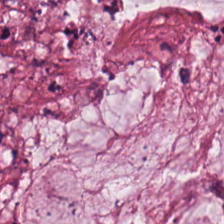Formalin-fixed paraffin-embedded section; H&E; 224×224 px patch.
This patch shows mucin.
